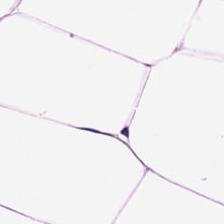H&E patch showing adipose tissue.
